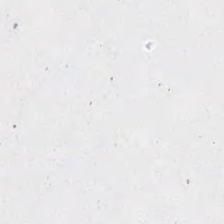Stain: hematoxylin-and-eosin stained section.
Classification: background.
